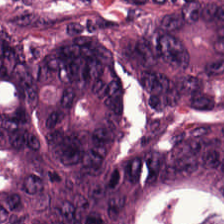H&E patch showing colorectal adenocarcinoma.
